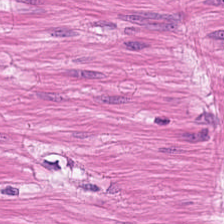Hematoxylin-and-eosin stained section. Predominant tissue: smooth-muscle tissue.
